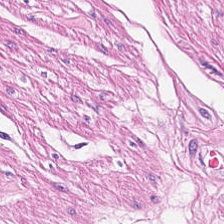Stain: H&E.
Acquisition: whole-slide-image patch.
Classification: smooth muscle.
